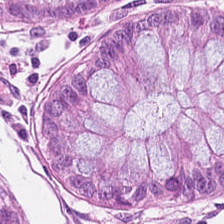Hematoxylin-and-eosin stained section. The classification is normal colon mucosa.
